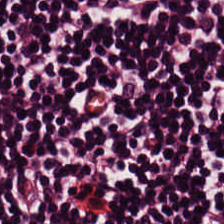0.5 µm per pixel; hematoxylin and eosin. Tissue type = lymphocytic infiltrate.
